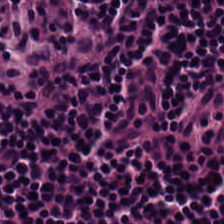Brightfield microscopy. H&E-stained tissue section — Predominant tissue: lymphocytes.
